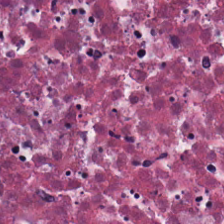Hematoxylin and eosin — Tissue class — cellular debris.
